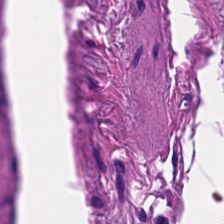H&E — Finding → smooth muscle.
